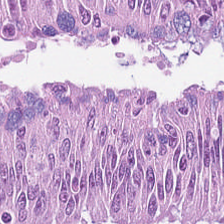224×224 pixel tile; H&E — Colorectal adenocarcinoma epithelium.
